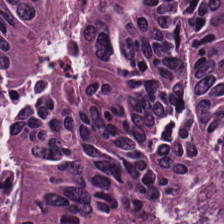Hematoxylin and eosin. 0.5 µm/px. The predominant tissue is adenocarcinoma.
